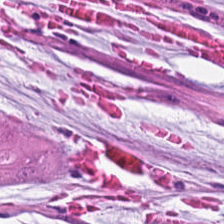Predominant tissue: extracellular mucin.
